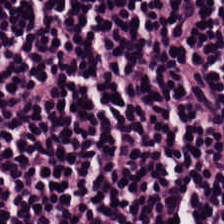H&E.
Tissue type — lymphoid infiltrate.
